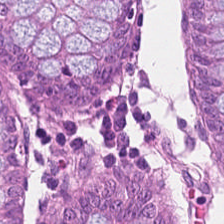Hematoxylin-and-eosin stained section.
Impression — non-neoplastic colon mucosa.
